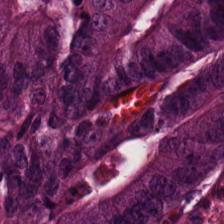Formalin-fixed paraffin-embedded section · hematoxylin-and-eosin stained section — Histology → tumor epithelium.
